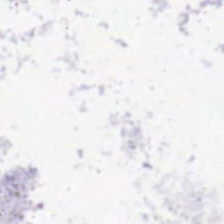H&E; FFPE tissue section.
Empty field — empty background.
